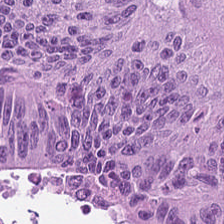FFPE tissue section. H&E. 20× equivalent magnification — Showing malignant epithelium.
